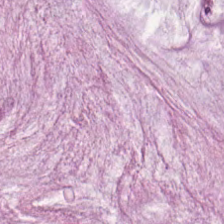Stain: H&E stain.
Preparation: FFPE tissue section.
Classification: mucus.
